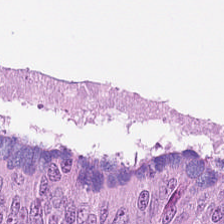224×224 pixel tile; formalin-fixed paraffin-embedded section; H&E.
Predominantly malignant epithelium.
